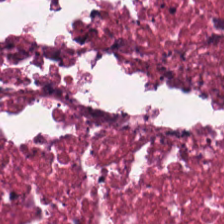H&E-stained section; the field shows cellular debris.
